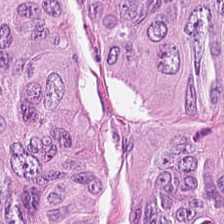H&E — {"tissue_type": "colorectal adenocarcinoma epithelium"}
